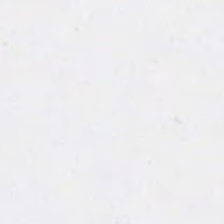H&E. Classification: empty background.
